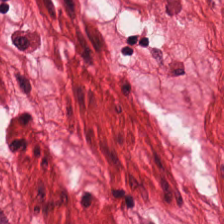H&E-stained tissue section.
This field is muscularis.
